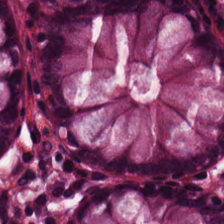H&E. 20× equivalent magnification. 224×224 pixel tile.
The predominant tissue is benign colonic mucosa.
